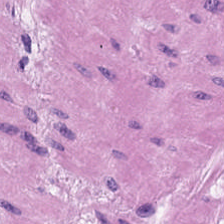Impression — muscularis.
